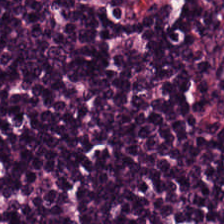Hematoxylin and eosin — This patch shows lymphocytes.
